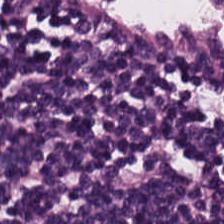H&E — lymphoid infiltrate.
